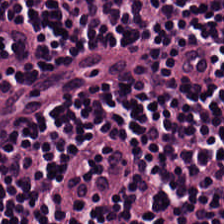Hematoxylin and eosin — This field is lymphocytic infiltrate.
